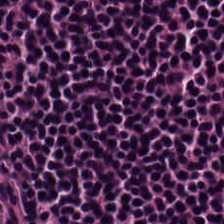20× equivalent magnification · H&E.
Q: What is shown here?
A: It is lymphocyte aggregate.
